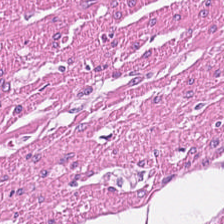0.5 microns per pixel · 224×224 pixel tile · H&E stain. Finding → smooth-muscle tissue.
